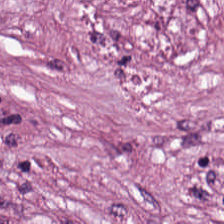20× equivalent magnification. H&E stain. The predominant tissue is desmoplastic stroma.
